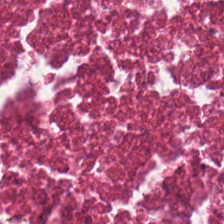0.5 microns per pixel; hematoxylin and eosin — Q: What is shown here?
A: This is necrotic debris.
